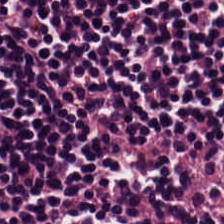Hematoxylin-and-eosin stained section; 0.5 µm/px — Q: Classify this patch.
A: The field shows lymphocyte aggregate.
